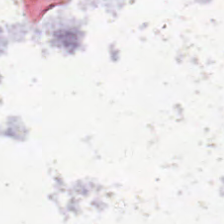H&E; 0.5 µm/px.
Histology — background.
